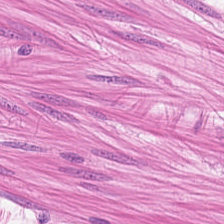Hematoxylin and eosin. Brightfield. Smooth-muscle tissue.
